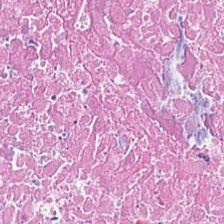Whole-slide-image patch. Hematoxylin and eosin.
Q: What is shown here?
A: The field shows cellular debris.
